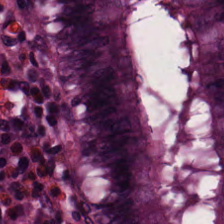Q: What type of tissue is this?
A: Non-neoplastic colon mucosa.
